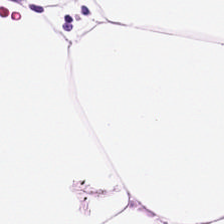H&E-stained section; the field shows adipose tissue.
